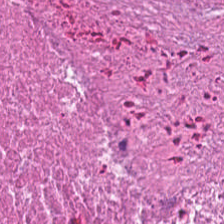Impression — debris.
